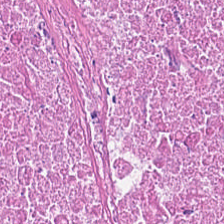Stain: H&E stain.
Tile size: 224×224 pixel tile.
Resolution: 0.5 µm per pixel.
Classification: debris.
